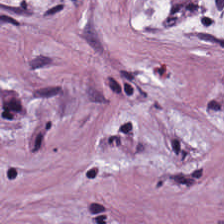20× equivalent magnification · H&E stain. Showing desmoplastic stroma.
